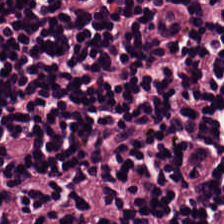FFPE tissue section · 224×224 pixel tile · H&E stain — The predominant tissue is lymphocytic infiltrate.
